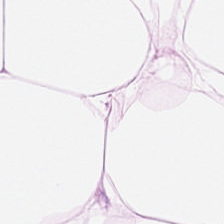H&E stain. FFPE tissue section.
Predominantly fat tissue.
